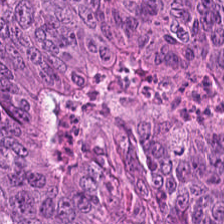H&E stain. The predominant tissue is adenocarcinoma.
